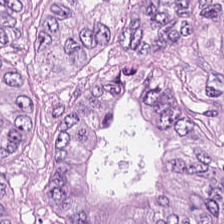Hematoxylin-and-eosin stained section; 0.5 microns per pixel. {"tissue_type": "colorectal adenocarcinoma"}
